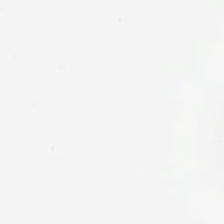H&E-stained tissue section. No tissue present; background only.
